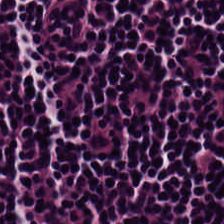H&E.
Predominantly lymphocytic infiltrate.
